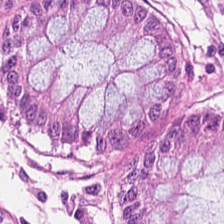Hematoxylin and eosin. This patch shows normal colonic mucosa.
